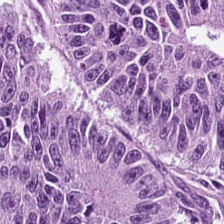Stain: hematoxylin and eosin.
Resolution: 0.5 µm per pixel.
Tile size: 224×224 pixel tile.
Tissue class: tumor epithelium.
